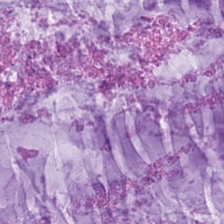Predominant tissue = extracellular mucin.
